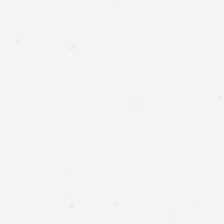Field content = background (no tissue).
